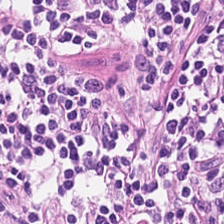20× equivalent magnification; H&E-stained tissue section. {"tissue_type": "lymphocyte aggregate"}
